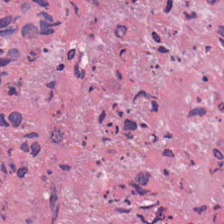0.5 microns per pixel; H&E stain; 224×224 pixel tile — Q: What tissue type is shown here?
A: This is necrotic debris.
